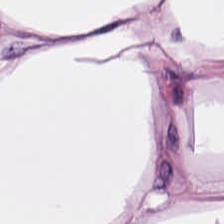Hematoxylin-and-eosin stained section.
Classification: adipocytes.
